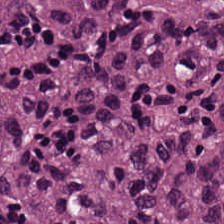Formalin-fixed paraffin-embedded section · H&E stain — Classification = malignant epithelium.
